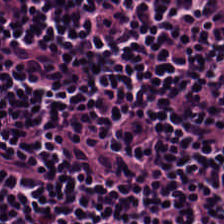H&E — lymphoid infiltrate.
